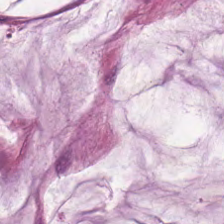H&E stain · 224×224 pixel tile · WSI patch. Tissue type — extracellular mucin.
